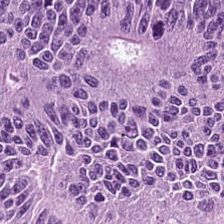H&E stain.
Showing colorectal adenocarcinoma.
